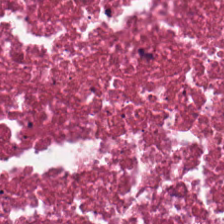0.5 µm per pixel. Hematoxylin-and-eosin stained section — Q: What tissue is shown?
A: This is cellular debris.
